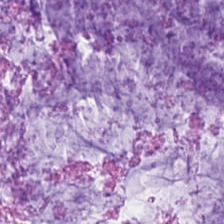224×224 pixel tile · hematoxylin-and-eosin stained section — This patch shows mucin.
